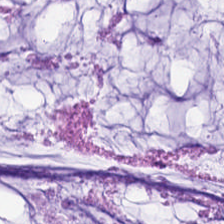Stain: hematoxylin-and-eosin stained section.
Predominant tissue: extracellular mucin.
